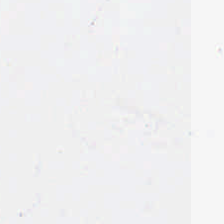H&E — The classification is background (no tissue).
